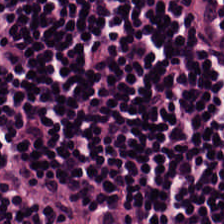H&E.
Classification = lymphocytic infiltrate.
